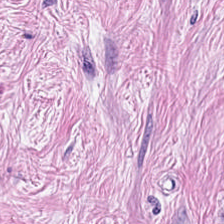Hematoxylin-and-eosin stained section. 0.5 µm per pixel — Q: What is shown in this field?
A: This is cancer-associated stroma.
